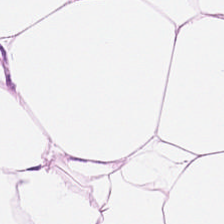H&E-stained tissue section.
Impression → fat tissue.
